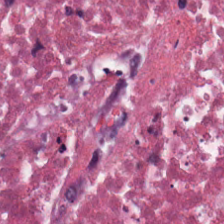H&E stain.
Tissue class — necrotic debris.
